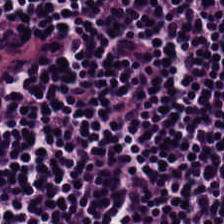Hematoxylin and eosin — Tissue type: lymphoid infiltrate.
